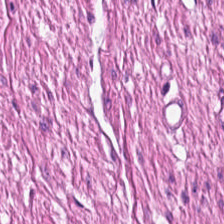H&E — The predominant tissue is muscularis.
